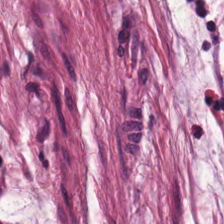Stain: H&E stain.
Acquisition: WSI patch.
Classification: mucin.
